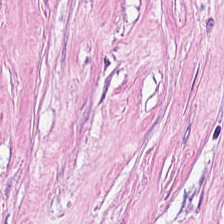Stain: hematoxylin and eosin.
Tissue type: tumor stroma.
